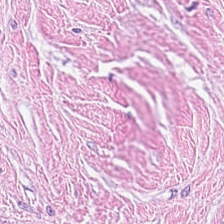Brightfield microscopy; 0.5 microns per pixel; H&E.
Finding — cancer-associated stroma.
